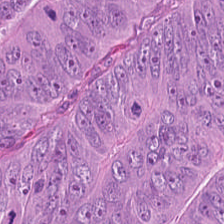Whole-slide-image patch; hematoxylin and eosin — Tissue: colorectal adenocarcinoma.
